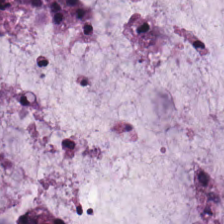Stain: H&E stain.
Preparation: FFPE.
Acquisition: brightfield.
Tissue: extracellular mucin.
